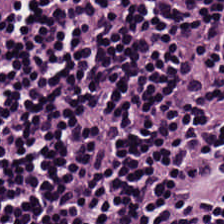The tissue here is lymphocytes.
